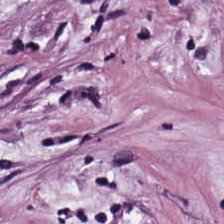H&E · 224×224 px patch — Q: What tissue is shown?
A: It is desmoplastic stroma.
